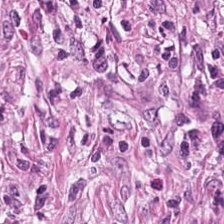Stain: hematoxylin-and-eosin stained section.
Tissue type: tumor-associated stroma.
